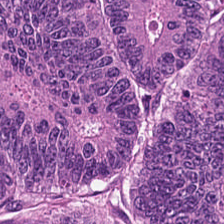H&E. Brightfield. Formalin-fixed paraffin-embedded section.
The predominant tissue is tumor epithelium.
